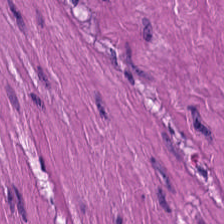H&E-stained tissue section; brightfield; 20× equivalent magnification. Predominantly smooth muscle.
